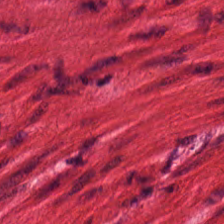Tissue: smooth-muscle tissue.
